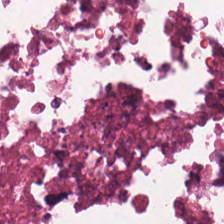Hematoxylin and eosin — This field is necrotic debris.
